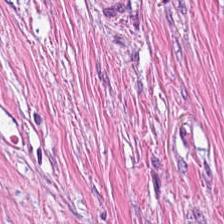H&E-stained tissue section. {"tissue_type": "tumor-associated stroma"}
